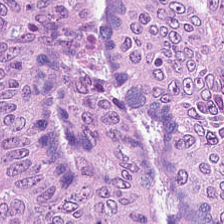H&E — tumor epithelium.
